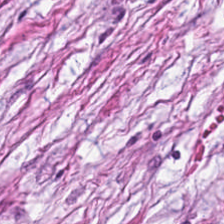FFPE tissue section · H&E · brightfield.
{"tissue_type": "tumor stroma"}
